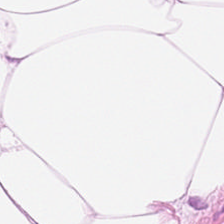Classification — adipose.
